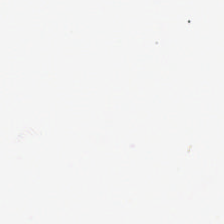Empty background.
